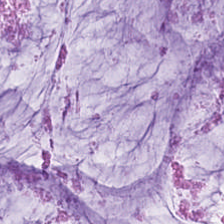FFPE tissue section. H&E-stained tissue section. Brightfield — The classification is extracellular mucin.
